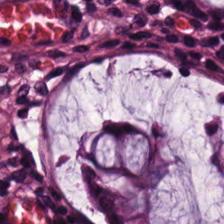WSI patch · H&E-stained tissue section. {"tissue_type": "benign colonic mucosa"}
